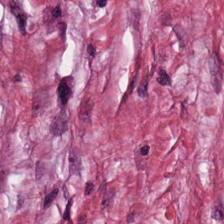Hematoxylin and eosin; FFPE tissue section. This patch shows tumor stroma.
